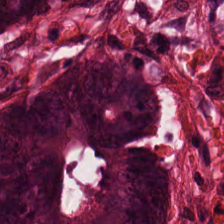H&E · 20× equivalent magnification. The tissue here is malignant epithelium.
